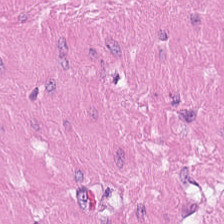{"tissue_type": "smooth muscle"}
